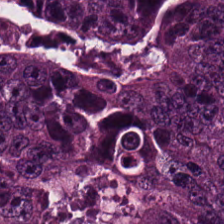FFPE tissue section · H&E stain · WSI patch. Impression → tumor epithelium.
